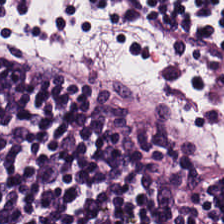This field is lymphoid infiltrate.
